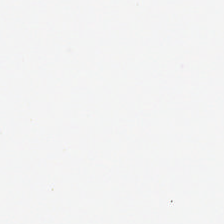FFPE tissue section · 224×224 pixel tile · H&E-stained tissue section. The content is no tissue.
